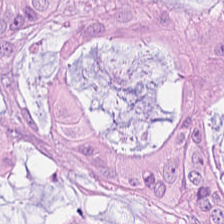Q: Identify the tissue.
A: It is colorectal adenocarcinoma.
